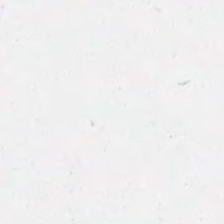Stain: hematoxylin and eosin.
Classification: background.
